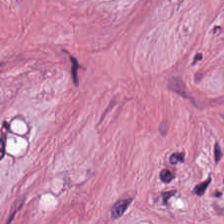The tissue here is cancer-associated stroma.
